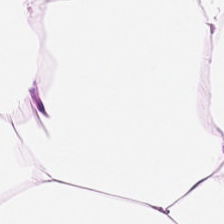H&E stain.
Predominantly fat tissue.
